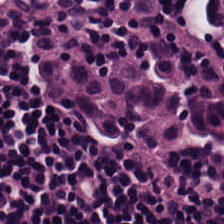Hematoxylin-and-eosin stained section — The predominant tissue is lymphocyte aggregate.
